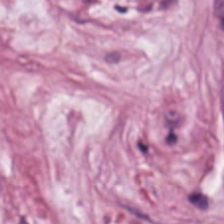H&E-stained tissue section. Classification: cancer-associated stroma.
